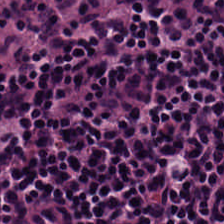224×224 pixel tile; H&E stain — Tissue class: lymphocyte aggregate.
